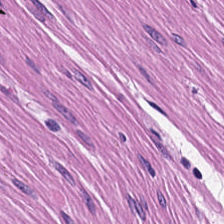0.5 microns per pixel · 224×224 px patch · H&E — Finding — smooth-muscle tissue.
